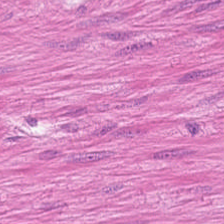Classification — smooth-muscle tissue.
